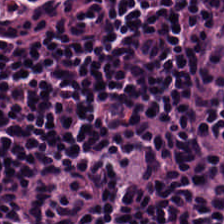Stain: hematoxylin-and-eosin stained section.
Tissue class: lymphocytic infiltrate.
